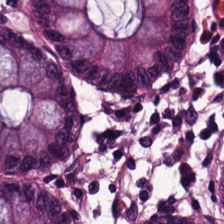Stain: hematoxylin and eosin.
Tissue type: non-neoplastic colon mucosa.
